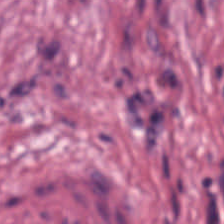Hematoxylin and eosin · FFPE · 224×224 px patch.
The predominant tissue is tumor stroma.
